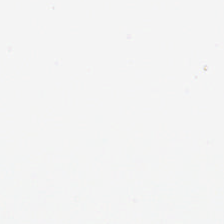Hematoxylin and eosin · 224×224 px patch — Content: background.
